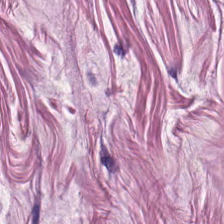H&E. Q: What is shown here?
A: Muscularis.
